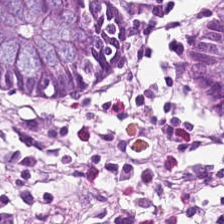Hematoxylin and eosin. 0.5 µm per pixel — Histology — normal colon mucosa.
